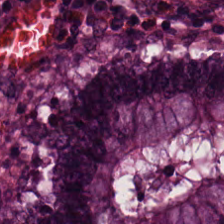Q: What tissue type is shown here?
A: This is non-neoplastic colon mucosa.
